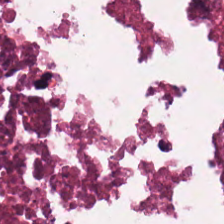H&E-stained tissue section — Tissue = necrotic debris.
